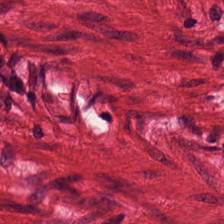Hematoxylin and eosin.
The tissue type is muscularis.
